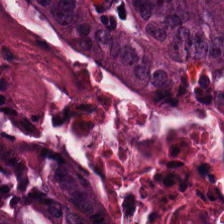H&E stain.
The tissue is colorectal adenocarcinoma epithelium.
